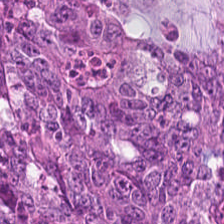0.5 µm/px · H&E-stained tissue section.
Tissue class: malignant epithelium.
